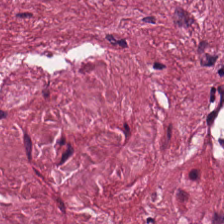H&E-stained tissue section.
Q: What is the predominant tissue type?
A: Desmoplastic stroma.
